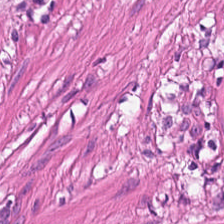Hematoxylin-and-eosin stained section.
Impression — smooth-muscle tissue.
